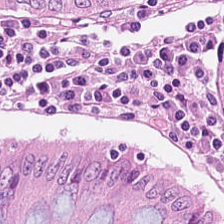H&E. Tissue class — normal colonic mucosa.
